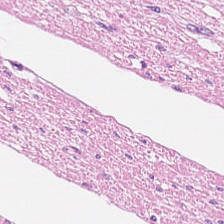Predominant tissue = muscularis.
